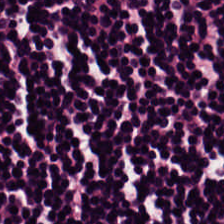Hematoxylin-and-eosin stained section.
Histology — lymphocyte aggregate.
